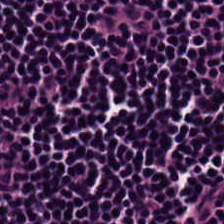Hematoxylin and eosin. Formalin-fixed paraffin-embedded section. Brightfield microscopy — This patch shows lymphocytes.
